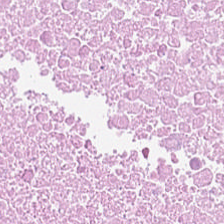Cellular debris.
